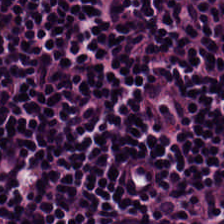WSI patch; 0.5 microns per pixel; H&E-stained tissue section.
Classification — lymphocytes.
